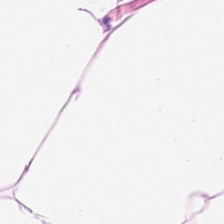H&E.
{"tissue_type": "fat tissue"}
